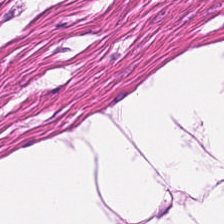Stain: hematoxylin and eosin.
Tissue: muscularis.
